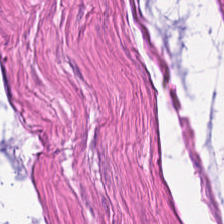Stain: hematoxylin-and-eosin stained section.
Preparation: FFPE.
Predominant tissue: smooth muscle.
